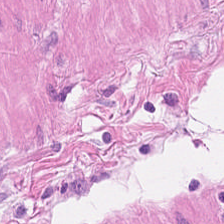Histology → muscularis.
